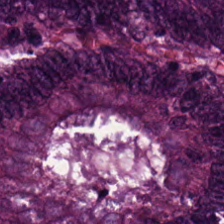224×224 px tile. H&E — Q: Classify this patch.
A: The field shows malignant epithelium.
